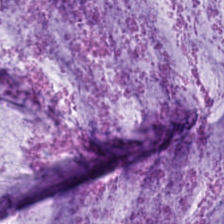Whole-slide-image patch; 0.5 microns per pixel; H&E.
The tissue is extracellular mucin.
